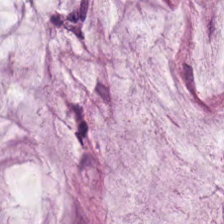{"tissue_type": "mucus"}
